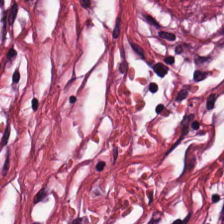Hematoxylin-and-eosin stained section; 224×224 px tile. {"tissue_type": "tumor stroma"}
